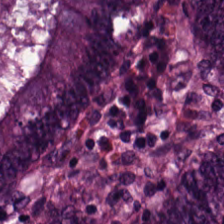H&E — colorectal adenocarcinoma.
